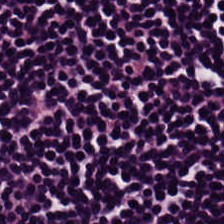20× equivalent magnification · 224×224 px tile · hematoxylin and eosin. The tissue here is lymphocytes.
